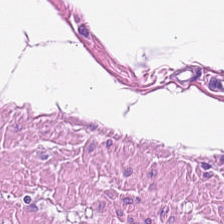H&E-stained tissue section. Showing smooth muscle.
